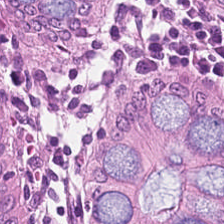H&E.
Tissue type: benign colonic mucosa.
